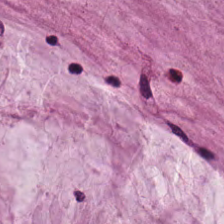Mucus.
